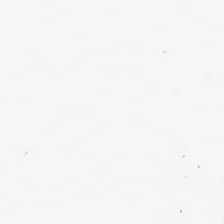H&E-stained tissue section. Q: What is shown here?
A: The field shows background.
